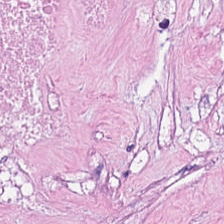H&E-stained tissue section — Q: What tissue is shown?
A: It is debris.
